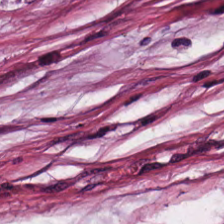0.5 µm per pixel. Hematoxylin-and-eosin stained section — {"tissue_type": "tumor-associated stroma"}
